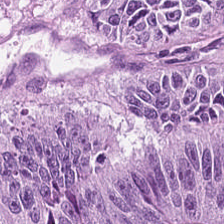This patch shows adenocarcinoma.
